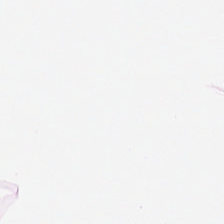H&E — adipocytes.
